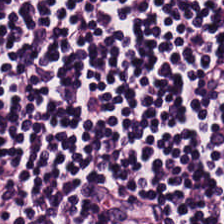Impression — lymphoid infiltrate.
